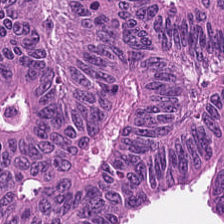H&E. Q: What type of tissue is this?
A: Adenocarcinoma.
